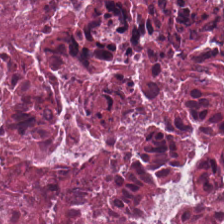FFPE. H&E stain.
This field is debris.
